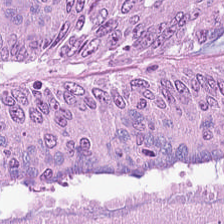Stain: hematoxylin and eosin.
Resolution: 0.5 microns per pixel.
Tissue: malignant epithelium.
